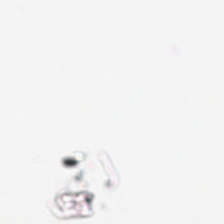FFPE. 0.5 µm/px. Hematoxylin and eosin — Classification = background (no tissue).
